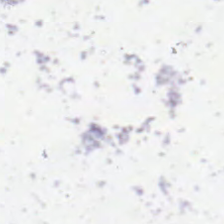H&E.
This field is background (no tissue).
